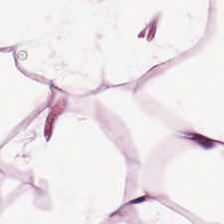Stain: H&E.
Tile size: 224×224 px tile.
Tissue class: fat tissue.
